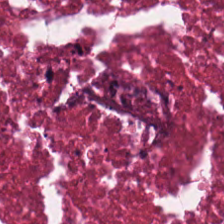H&E — Q: Identify the tissue.
A: It is cellular debris.
